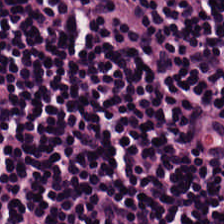H&E-stained tissue section showing lymphocytic infiltrate.
